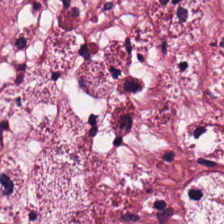Hematoxylin and eosin. Whole-slide-image patch — Classification — tumor-associated stroma.
